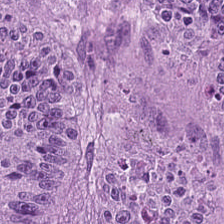Brightfield microscopy · hematoxylin-and-eosin stained section — The tissue class is malignant epithelium.
